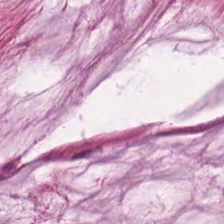Whole-slide-image patch · hematoxylin-and-eosin stained section — Q: Classify this patch.
A: Mucin.
